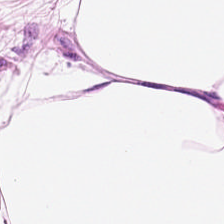H&E stain; 0.5 microns per pixel. Predominant tissue = fat tissue.
